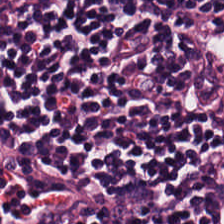H&E stain — Predominant tissue: lymphocytic infiltrate.
